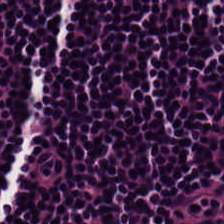H&E stain. FFPE.
Lymphocyte aggregate.
